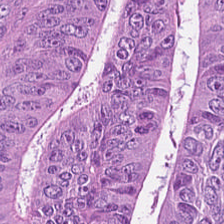H&E.
Q: What tissue is shown?
A: It is malignant epithelium.
